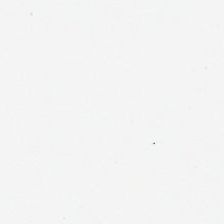Hematoxylin and eosin.
Histology — empty background.
